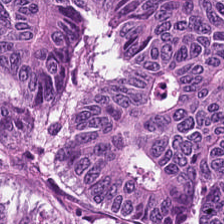H&E-stained tissue section · brightfield microscopy. Histology — tumor epithelium.
